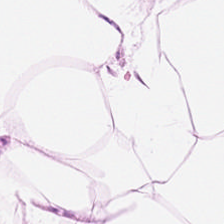224×224 px patch. 0.5 microns per pixel. H&E stain. {"tissue_type": "fat tissue"}
